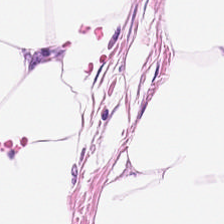H&E — adipose.
